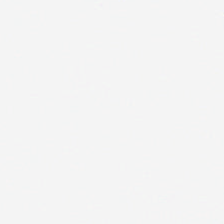H&E-stained tissue section — Field content = empty background.
